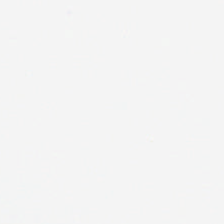H&E; WSI patch; 224×224 pixel tile. Content — background.
